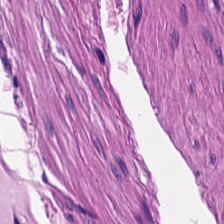H&E stain; 224×224 px patch; FFPE — The predominant tissue is smooth-muscle tissue.
